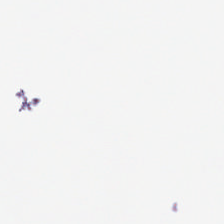Whole-slide-image patch; hematoxylin-and-eosin stained section; FFPE. Background — no tissue in this field.
